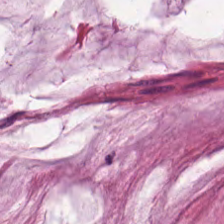Tissue type: mucus.
